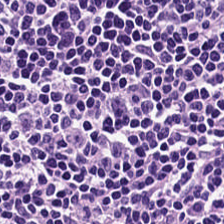H&E stain.
Predominantly lymphocytic infiltrate.
